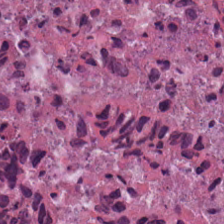Q: What tissue is shown?
A: The field shows debris.
